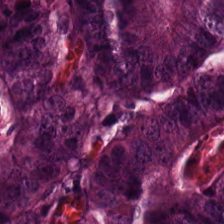H&E · formalin-fixed paraffin-embedded section.
Q: What is shown here?
A: It is colorectal adenocarcinoma epithelium.
